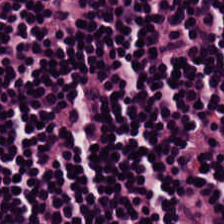Stain: hematoxylin-and-eosin stained section.
Acquisition: brightfield.
Preparation: formalin-fixed paraffin-embedded section.
Tissue class: lymphocyte aggregate.
